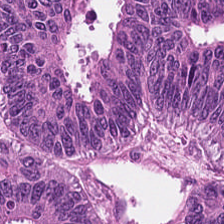H&E stain.
Q: What is shown in this field?
A: This is adenocarcinoma.
